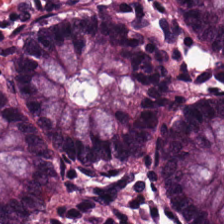H&E stain. Tissue = normal colonic mucosa.
